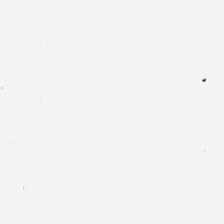H&E-stained tissue section. Field content: background (no tissue).
